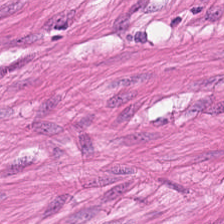Q: What is shown here?
A: Smooth-muscle tissue.
